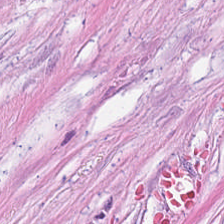FFPE · hematoxylin-and-eosin stained section — Classification: tumor-associated stroma.
